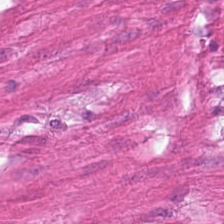Formalin-fixed paraffin-embedded section · H&E-stained tissue section.
Q: What is the predominant tissue type?
A: It is smooth muscle.
